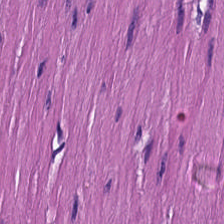0.5 µm per pixel; H&E. This field is smooth-muscle tissue.
